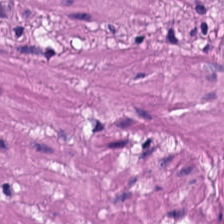224×224 pixel tile. Brightfield microscopy. Hematoxylin-and-eosin stained section. Q: What is the predominant tissue type?
A: Muscularis.
